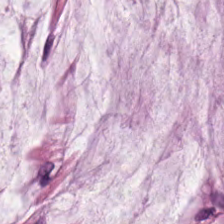Hematoxylin-and-eosin stained section. The tissue here is mucin.
